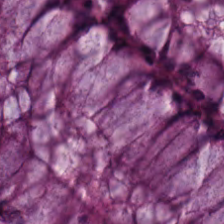H&E.
Predominantly benign colonic mucosa.
